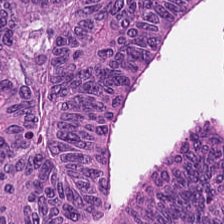H&E-stained tissue section — Histology → colorectal adenocarcinoma epithelium.
